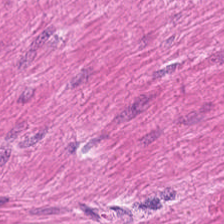H&E-stained tissue section. FFPE tissue section. Histology — smooth muscle.
